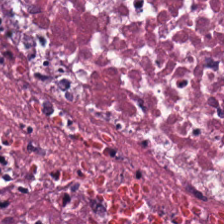Tissue — debris.
